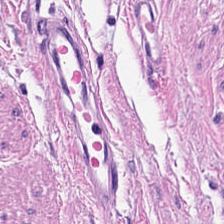Stain: hematoxylin-and-eosin stained section.
Classification: smooth-muscle tissue.
